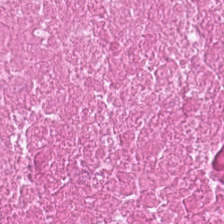224×224 px patch; brightfield; H&E-stained tissue section.
Classification = debris.
